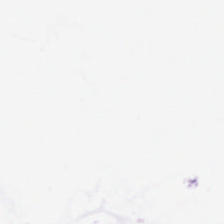224×224 pixel tile. H&E stain. FFPE tissue section — Empty field — background.
